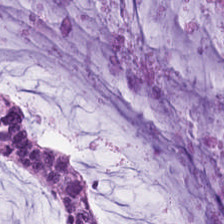FFPE. Hematoxylin-and-eosin stained section.
The predominant tissue is mucus.
